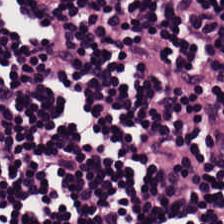FFPE tissue section. H&E stain — Q: What is shown here?
A: Lymphoid infiltrate.
